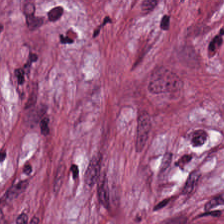Hematoxylin-and-eosin section: tumor stroma.
